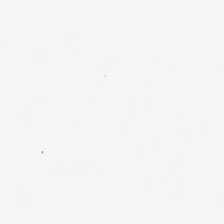Whole-slide-image patch; 0.5 µm per pixel; H&E stain.
Empty field — background (no tissue).
